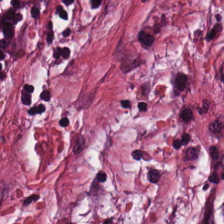Stain: H&E stain.
Tissue type: cancer-associated stroma.
